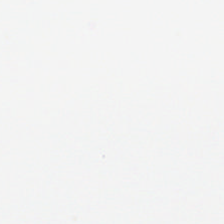H&E-stained tissue section. The field content is empty background.
